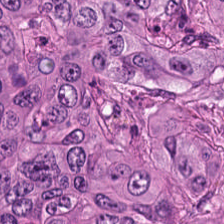H&E-stained tissue section. 0.5 µm/px. Tissue type = tumor epithelium.
